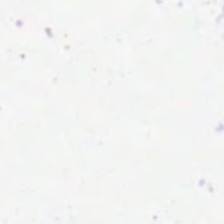The classification is no tissue.
